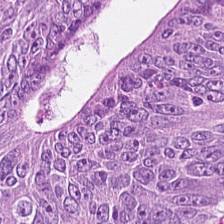Tissue type: colorectal adenocarcinoma epithelium.
